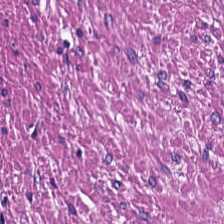H&E-stained tissue section · 0.5 microns per pixel.
Tissue = smooth muscle.
